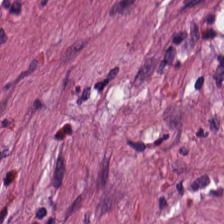Brightfield microscopy; H&E stain.
{"tissue_type": "tumor stroma"}
